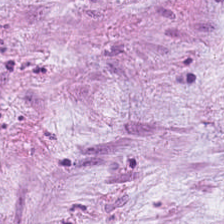Hematoxylin-and-eosin stained section — Showing extracellular mucin.
